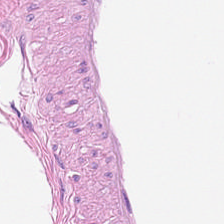WSI patch · 224×224 pixel tile · hematoxylin-and-eosin stained section. Tissue type: adipocytes.
